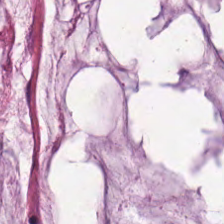Hematoxylin-and-eosin stained section.
Showing mucus.
